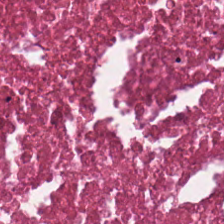H&E stain · formalin-fixed paraffin-embedded section · 224×224 px tile. Predominantly debris.
